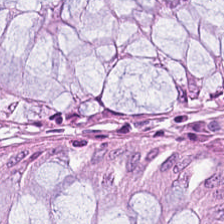Histology — normal colon mucosa.
